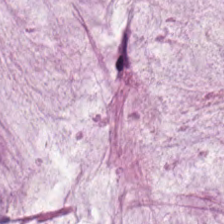H&E-stained tissue section · 0.5 microns per pixel. This field is mucin.
